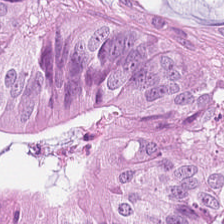Hematoxylin and eosin — {"tissue_type": "adenocarcinoma"}
